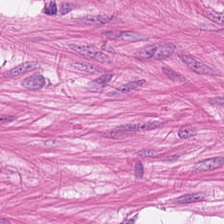Hematoxylin-and-eosin stained section — Predominantly muscularis.
